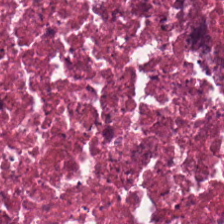20× equivalent magnification; H&E-stained tissue section.
Showing necrotic debris.
